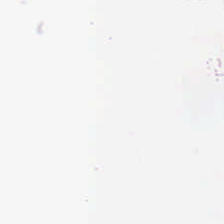Empty field — background (no tissue).
